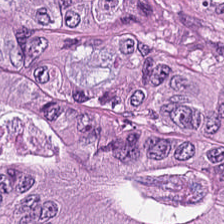H&E. The tissue here is tumor epithelium.
